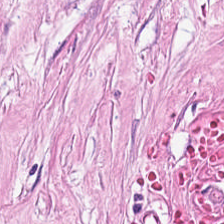Stain: H&E stain.
Tissue: desmoplastic stroma.
